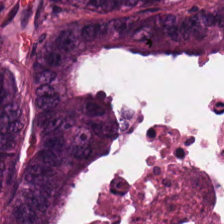Q: What does this patch show?
A: It is colorectal adenocarcinoma epithelium.
